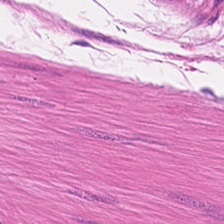Q: What type of tissue is this?
A: The field shows muscularis.
